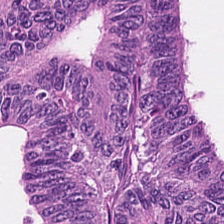Q: Classify this patch.
A: It is malignant epithelium.
